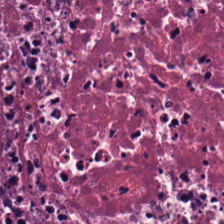Hematoxylin-and-eosin stained section. 0.5 microns per pixel — The tissue type is cellular debris.
